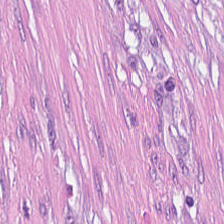H&E stain. Impression → cancer-associated stroma.
